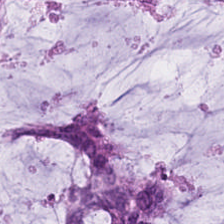224×224 px patch. FFPE. Hematoxylin and eosin.
Tissue class = mucin.
